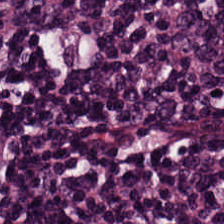Tissue class — lymphocytes.
